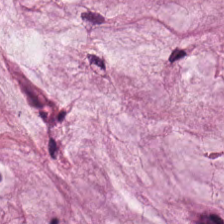Classification = mucus.
